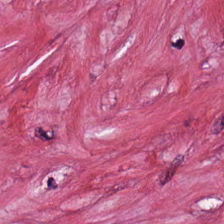H&E-stained tissue section.
The classification is tumor stroma.
